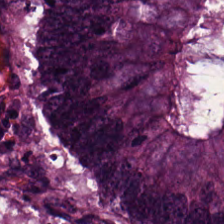{"tissue_type": "adenocarcinoma"}
